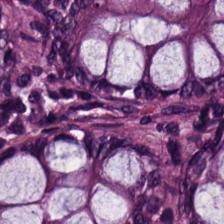H&E stain; 224×224 pixel tile — Predominantly benign colonic mucosa.
